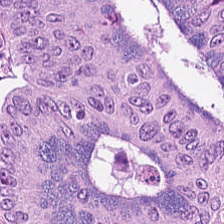Hematoxylin and eosin · whole-slide-image patch · FFPE tissue section — This patch shows tumor epithelium.
